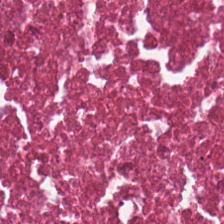H&E-stained tissue section.
Tissue class: debris.
